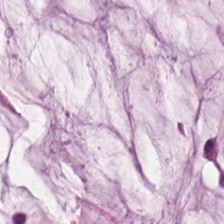Hematoxylin and eosin.
The classification is mucin.
